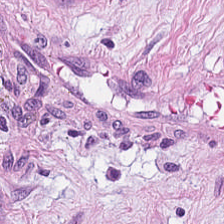The predominant tissue is tumor-associated stroma.
